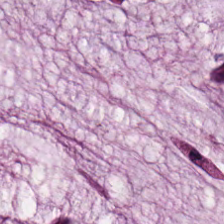Hematoxylin and eosin · 224×224 px tile — Tissue: mucus.
